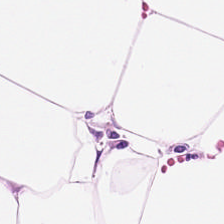H&E. This patch shows adipose tissue.
